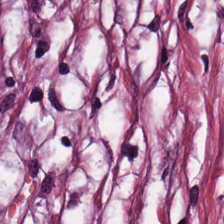Tissue: tumor stroma.
